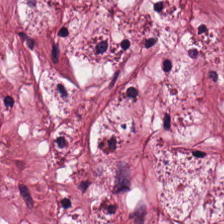{"tissue_type": "tumor stroma"}
